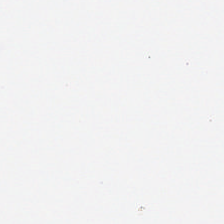H&E. This field is background (no tissue).
